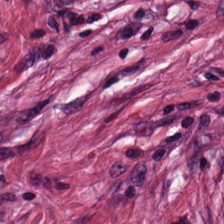Formalin-fixed paraffin-embedded section · WSI patch · hematoxylin and eosin.
{"tissue_type": "tumor-associated stroma"}
